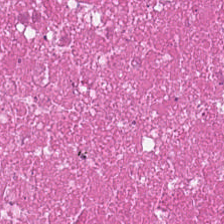Hematoxylin-and-eosin stained section; 224×224 px tile; formalin-fixed paraffin-embedded section. The tissue class is necrotic debris.
